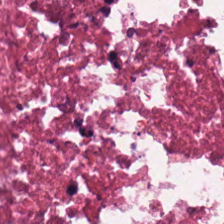H&E.
Showing necrotic debris.
